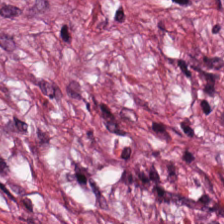Formalin-fixed paraffin-embedded section · H&E — The tissue type is tumor-associated stroma.
